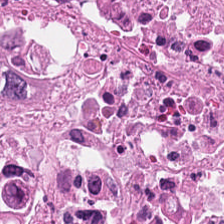H&E; 20× equivalent magnification. Histology → cellular debris.
